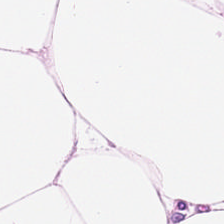H&E-stained tissue section — Fat tissue.
